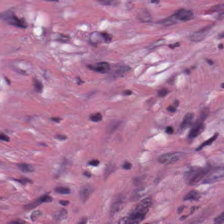0.5 µm per pixel. H&E. FFPE — Tissue type — tumor stroma.
